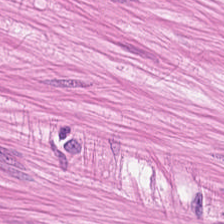H&E-stained tissue section — Tissue type = muscularis.
